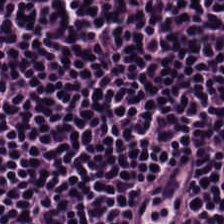Stain: H&E.
Tissue class: lymphocytic infiltrate.
